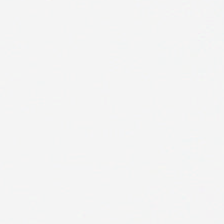H&E; 0.5 µm per pixel; WSI patch. The field content is background (no tissue).
